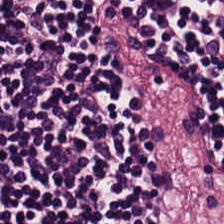Hematoxylin and eosin.
The tissue is lymphocyte aggregate.
